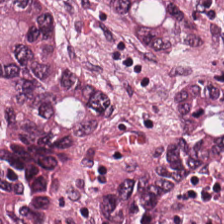H&E. 20× equivalent magnification. Malignant epithelium.
